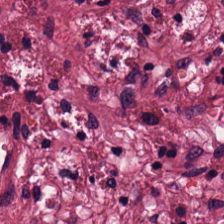Hematoxylin and eosin · brightfield microscopy — Predominant tissue = cancer-associated stroma.
